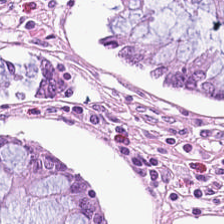Predominantly non-neoplastic colon mucosa.
